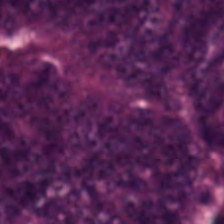H&E-stained tissue section — Q: Classify this patch.
A: This is colorectal adenocarcinoma.
